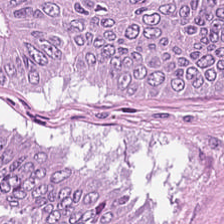Brightfield. H&E. 224×224 px patch — Predominantly malignant epithelium.
